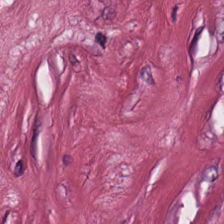FFPE tissue section. 224×224 px tile. Hematoxylin-and-eosin stained section. Impression → desmoplastic stroma.
